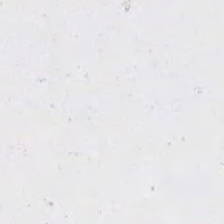Hematoxylin and eosin. Q: What does this patch show?
A: Background (no tissue).
